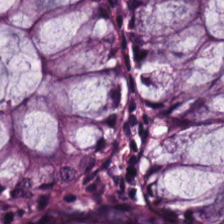Brightfield; H&E-stained tissue section; 224×224 px patch. Predominantly benign colonic mucosa.
